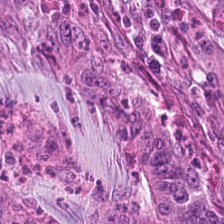Predominantly malignant epithelium.
